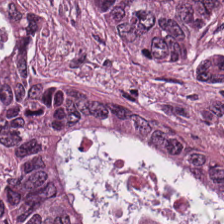224×224 px tile; hematoxylin-and-eosin stained section; whole-slide-image patch.
Tissue type — tumor epithelium.
